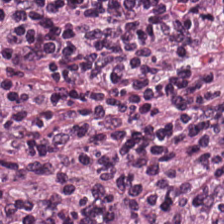Hematoxylin and eosin — Finding → lymphocyte aggregate.
